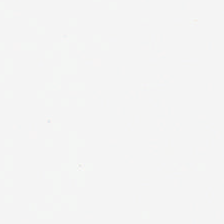20× equivalent magnification; H&E — Histology — empty background.
